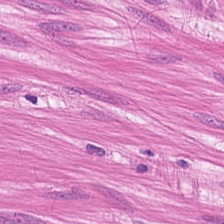H&E-stained tissue section. Showing muscularis.
